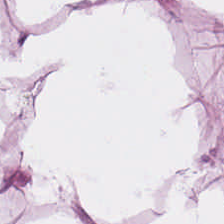H&E-stained tissue section; FFPE tissue section; 224×224 px patch.
Adipose.
